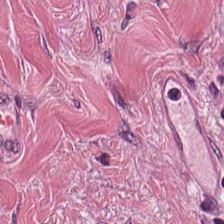Hematoxylin-and-eosin stained section.
Predominantly cancer-associated stroma.
